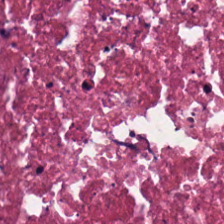H&E stain — The tissue type is necrotic debris.
